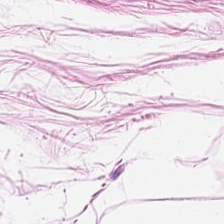Stain: H&E-stained tissue section.
Tissue class: adipose tissue.
